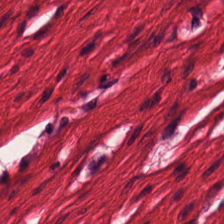H&E-stained tissue section; brightfield — The classification is smooth muscle.
